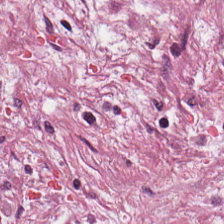Hematoxylin-and-eosin stained section — The predominant tissue is desmoplastic stroma.
